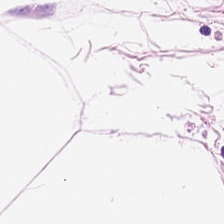Hematoxylin-and-eosin stained section; formalin-fixed paraffin-embedded section; 224×224 pixel tile.
Showing adipose.
